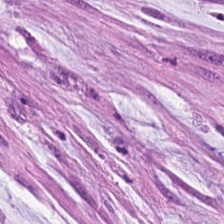H&E patch showing extracellular mucin.
